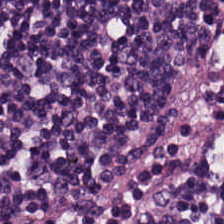Stain: hematoxylin-and-eosin stained section.
Classification: lymphocyte aggregate.
